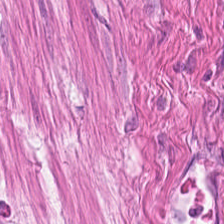H&E — smooth-muscle tissue.
